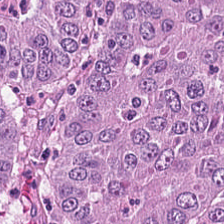Hematoxylin-and-eosin stained section. This patch shows colorectal adenocarcinoma epithelium.
